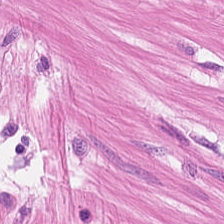Impression — smooth muscle.
